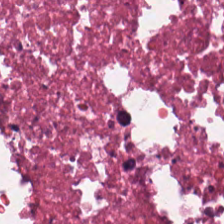WSI patch · H&E-stained tissue section · 0.5 microns per pixel — Predominant tissue — debris.
